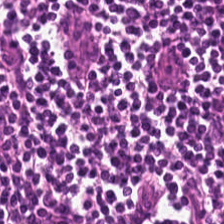H&E-stained tissue section. Q: What does this patch show?
A: It is lymphocytes.
